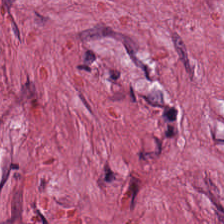Hematoxylin and eosin · formalin-fixed paraffin-embedded section. Tumor-associated stroma.
